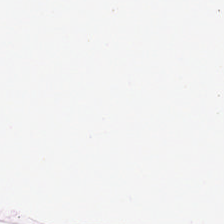0.5 µm per pixel. Hematoxylin and eosin. WSI patch — The tissue is fat tissue.
